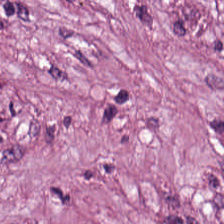FFPE · H&E.
Predominantly tumor stroma.
